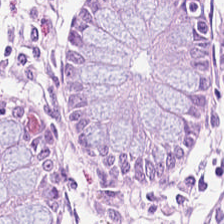H&E-stained tissue section. Classification — normal colon mucosa.
